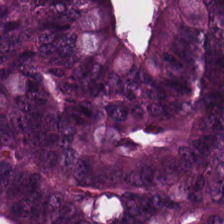H&E-stained tissue section; brightfield. {"tissue_type": "colorectal adenocarcinoma epithelium"}
